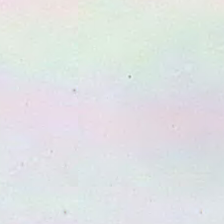Hematoxylin-and-eosin stained section. This field is background (no tissue).
